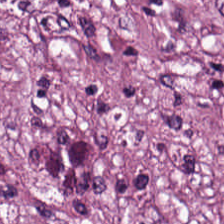Hematoxylin-and-eosin stained section — This patch shows tumor stroma.
